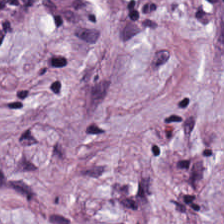Hematoxylin-and-eosin stained section — Q: What is shown in this field?
A: Tumor-associated stroma.
